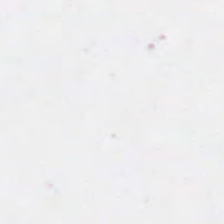H&E.
No tissue present; background only.
